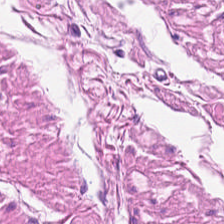Tissue: smooth muscle.
